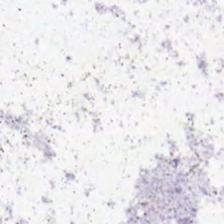0.5 µm per pixel. H&E.
Content: no tissue.
